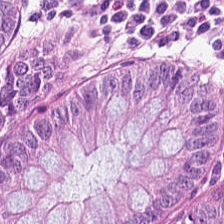The predominant tissue is normal colonic mucosa.
